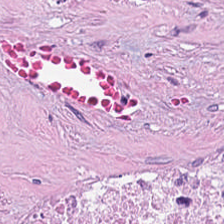Stain: hematoxylin-and-eosin stained section.
Predominant tissue: necrotic debris.
